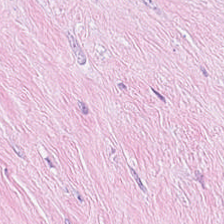Stain: H&E.
Tissue class: tumor-associated stroma.
